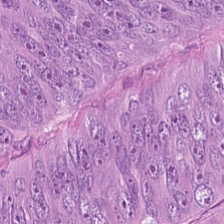H&E; 0.5 µm/px; brightfield microscopy.
The tissue here is colorectal adenocarcinoma.
